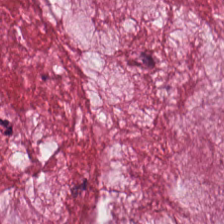Brightfield. 224×224 pixel tile. Hematoxylin-and-eosin stained section.
Classification: mucin.
